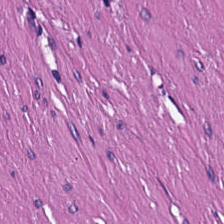Hematoxylin and eosin. 224×224 px patch. Impression — smooth muscle.
